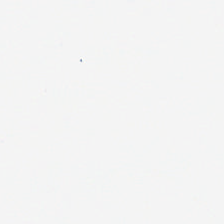The content is background.
